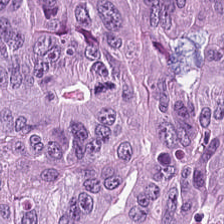Tissue class = tumor epithelium.
